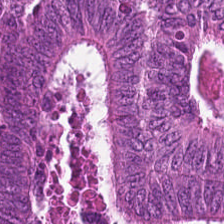Stain: H&E stain.
Preparation: FFPE.
Acquisition: brightfield microscopy.
Tissue: colorectal adenocarcinoma epithelium.
